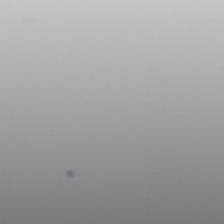Q: What is shown here?
A: It is no tissue.
